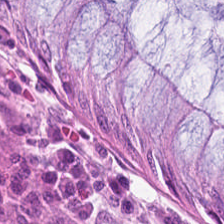H&E.
Tissue class = non-neoplastic colon mucosa.
